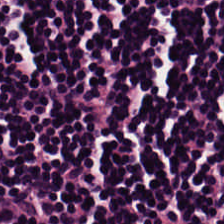H&E stain.
Q: What is the predominant tissue type?
A: The field shows lymphocyte aggregate.
